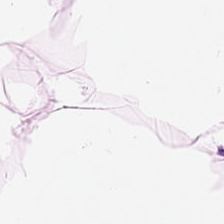H&E — The tissue class is adipocytes.
